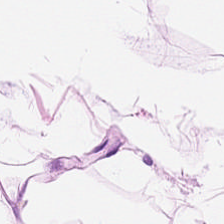H&E-stained tissue section · 224×224 pixel tile — The tissue type is adipose.
